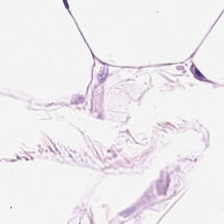H&E stain. Predominant tissue = adipocytes.
